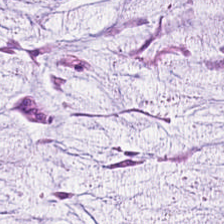Q: What is the predominant tissue type?
A: The field shows mucin.
